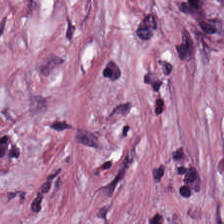Hematoxylin and eosin — Q: What is shown in this field?
A: The field shows tumor stroma.
